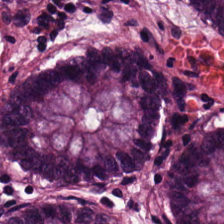Stain: H&E stain.
Tissue class: normal colon mucosa.
